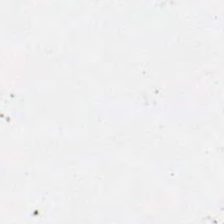Classification: no tissue.
